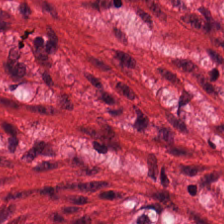Tissue: muscularis.
